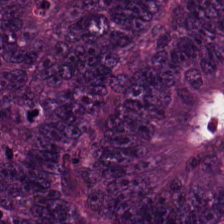Hematoxylin and eosin; 0.5 µm/px; 224×224 px tile. Q: What type of tissue is this?
A: Colorectal adenocarcinoma.
